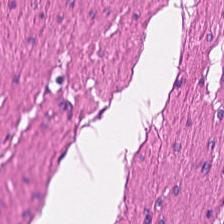H&E-stained tissue section · WSI patch.
Impression → smooth muscle.
